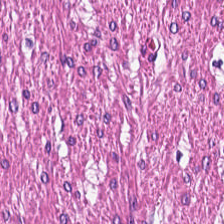FFPE tissue section; brightfield microscopy; H&E — Tissue class: smooth-muscle tissue.
